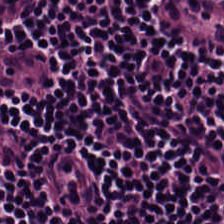H&E-stained tissue section. {"tissue_type": "lymphoid infiltrate"}
